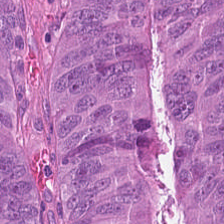Hematoxylin-and-eosin stained section · whole-slide-image patch · 224×224 px patch. This patch shows colorectal adenocarcinoma.
